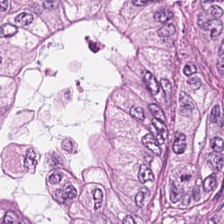Hematoxylin-and-eosin stained section — Q: What tissue type is shown here?
A: It is adenocarcinoma.
